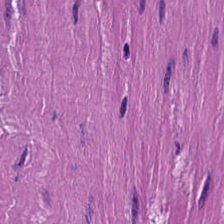Hematoxylin and eosin.
Finding → muscularis.
